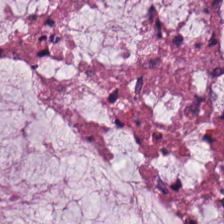Stain: H&E-stained tissue section.
Tissue type: mucus.
